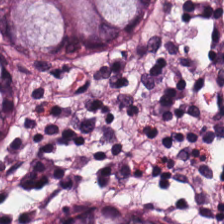0.5 µm/px. Hematoxylin-and-eosin stained section. Brightfield microscopy — Impression → normal colonic mucosa.
